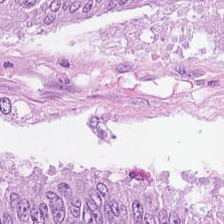H&E.
Tissue: tumor epithelium.
